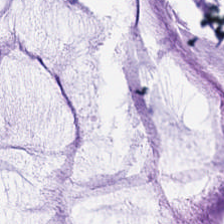H&E. Classification — mucus.
